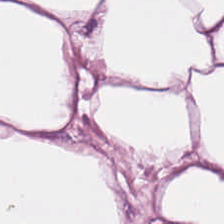Formalin-fixed paraffin-embedded section. Hematoxylin and eosin.
Tissue type — adipose tissue.
